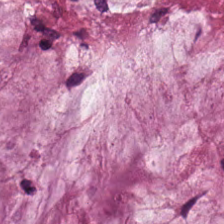H&E-stained tissue section.
Q: What type of tissue is this?
A: It is mucin.
